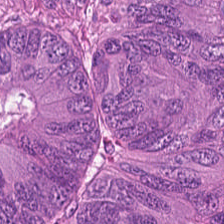Hematoxylin and eosin. FFPE tissue section. Whole-slide-image patch.
This patch shows colorectal adenocarcinoma.
